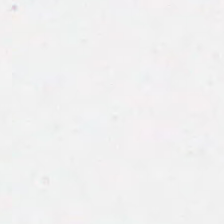Hematoxylin and eosin — Finding — background.
